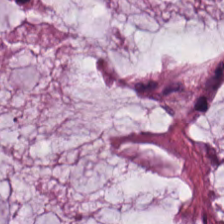H&E; brightfield microscopy — Tissue: mucus.
